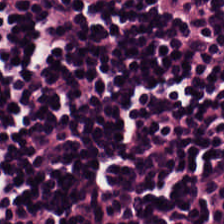H&E patch showing lymphocytic infiltrate.
